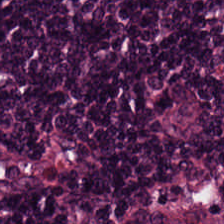FFPE tissue section · H&E.
Q: What does this patch show?
A: This is lymphoid infiltrate.
